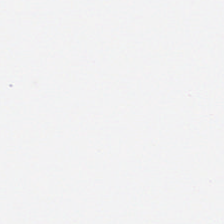H&E-stained tissue section — Content — no tissue.
